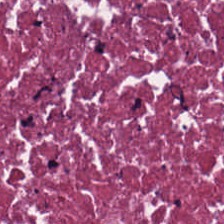Q: What is shown here?
A: Cellular debris.
